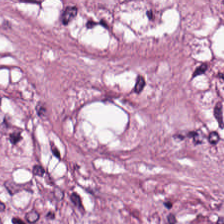H&E stain.
Impression — desmoplastic stroma.
